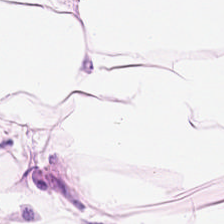H&E stain. This patch shows adipose.
